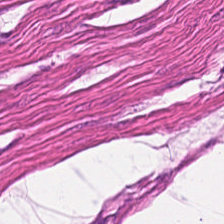224×224 px tile; FFPE; hematoxylin-and-eosin stained section — Tissue class — smooth muscle.
